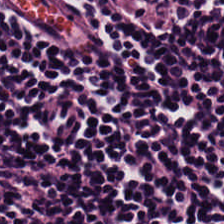Showing lymphoid infiltrate.
